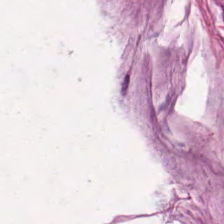H&E patch showing mucus.
